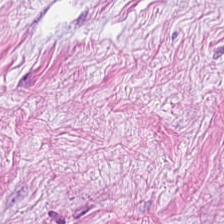H&E-stained tissue section. Brightfield. Q: Identify the tissue.
A: It is cancer-associated stroma.
